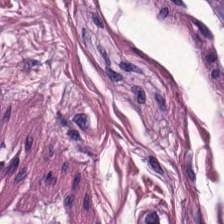H&E-stained tissue section. The tissue here is muscularis.
